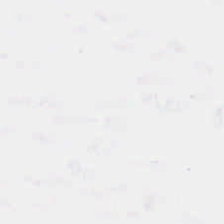This field is background (no tissue).
